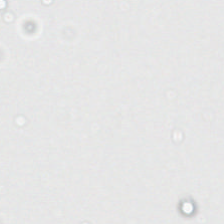H&E. No tissue.
